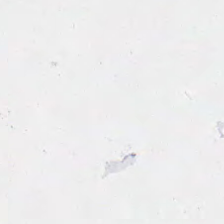Hematoxylin-and-eosin stained section — Background — no tissue in this field.
